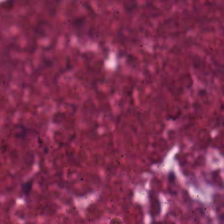FFPE tissue section; H&E stain; brightfield. The predominant tissue is necrotic debris.
